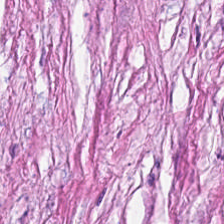The predominant tissue is cancer-associated stroma.
